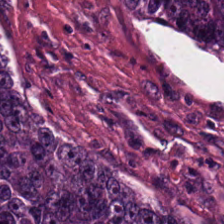H&E-stained tissue section.
The classification is malignant epithelium.
